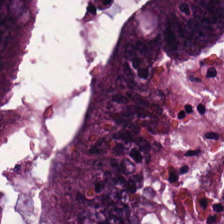The tissue here is tumor epithelium.
